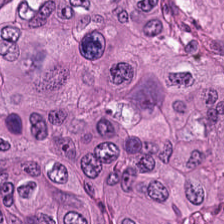Stain: H&E-stained tissue section.
Tissue class: tumor epithelium.
